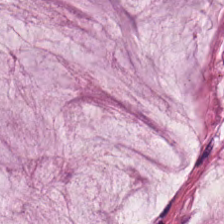H&E-stained tissue section. 224×224 pixel tile.
Showing extracellular mucin.
